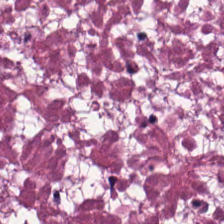FFPE tissue section; 224×224 px patch; hematoxylin and eosin — Tissue type: debris.
